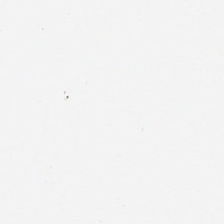Q: What is shown here?
A: It is background.
